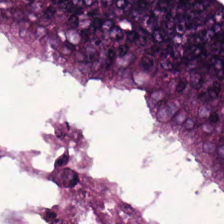H&E. Whole-slide-image patch. Classification — adenocarcinoma.
